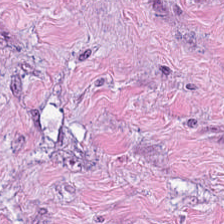H&E. 224×224 px tile — Tissue: tumor-associated stroma.
